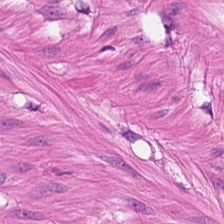Hematoxylin-and-eosin stained section — Tissue = muscularis.
